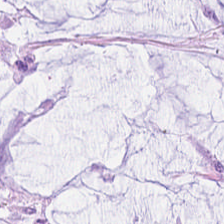0.5 microns per pixel; H&E stain — Tissue: mucin.
